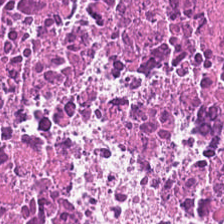224×224 pixel tile. FFPE. Hematoxylin-and-eosin stained section. {"tissue_type": "necrotic debris"}
